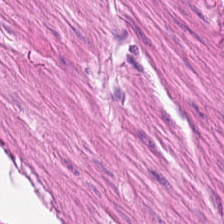H&E-stained tissue section — The predominant tissue is muscularis.
